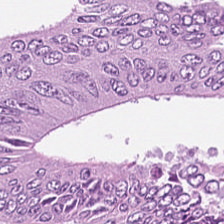224×224 px patch; H&E stain; 0.5 µm per pixel — Showing adenocarcinoma.
